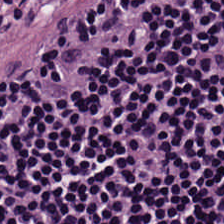Histology — lymphocytes.
